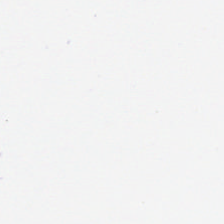Classification: empty background.
